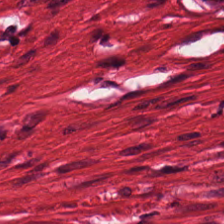H&E patch showing muscularis.
